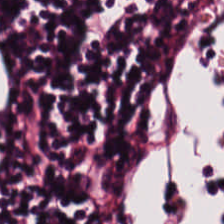Hematoxylin and eosin.
Lymphoid infiltrate.
